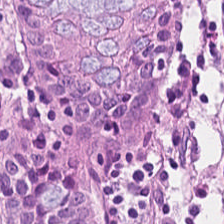Brightfield microscopy; H&E stain.
Predominantly non-neoplastic colon mucosa.
